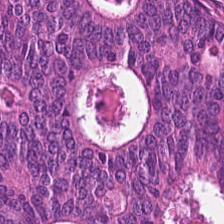Stain: H&E.
Tile size: 224×224 pixel tile.
Tissue class: colorectal adenocarcinoma epithelium.
